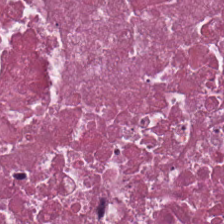Classification — debris.
